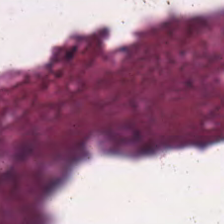WSI patch. Hematoxylin-and-eosin stained section.
Q: Classify this patch.
A: The field shows cellular debris.
